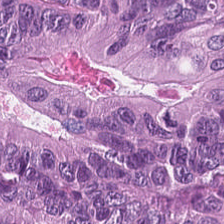Hematoxylin-and-eosin section: adenocarcinoma.
